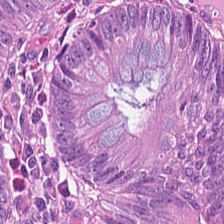Hematoxylin-and-eosin stained section · 0.5 µm/px. Tissue type: colorectal adenocarcinoma epithelium.
